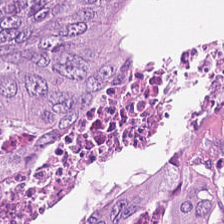The predominant tissue is malignant epithelium.
